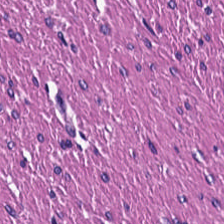Tissue type = muscularis.
